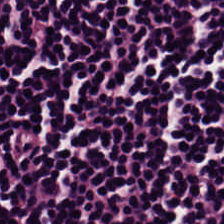H&E stain; formalin-fixed paraffin-embedded section. Tissue type — lymphoid infiltrate.
